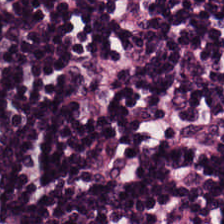H&E stain. 224×224 px tile. Formalin-fixed paraffin-embedded section — Finding → lymphocyte aggregate.
